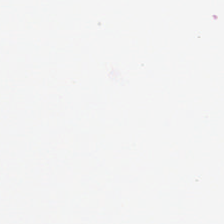H&E-stained tissue section — Field content: background.
